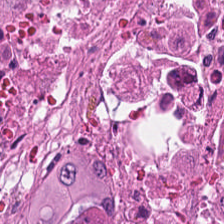H&E. Impression — necrotic debris.
